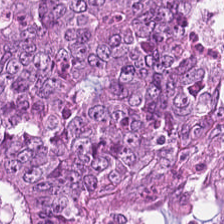224×224 px tile; hematoxylin and eosin — Q: What is shown here?
A: The field shows tumor epithelium.
